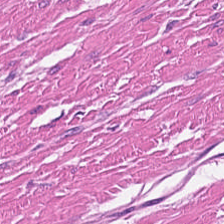Stain: hematoxylin and eosin.
Tile size: 224×224 px patch.
Resolution: 0.5 µm per pixel.
Tissue type: smooth muscle.
